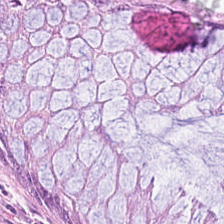Hematoxylin and eosin — The predominant tissue is benign colonic mucosa.
